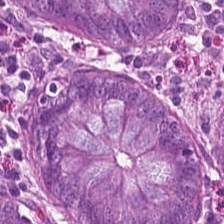H&E — Tissue = benign colonic mucosa.
